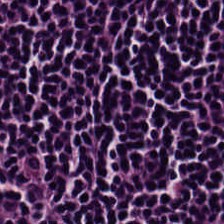Hematoxylin-and-eosin stained section.
Q: Identify the tissue.
A: The field shows lymphocytic infiltrate.
